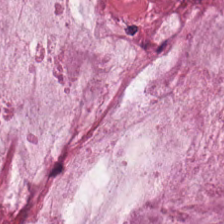Stain: H&E stain.
Tissue class: mucus.
